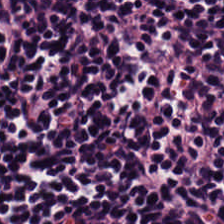Finding — lymphocytic infiltrate.
